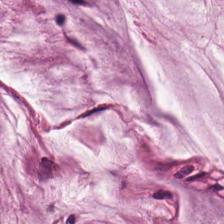Stain: H&E-stained tissue section.
Tissue type: mucus.
